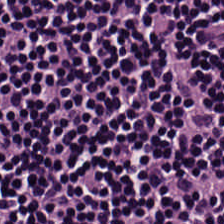Stain: H&E.
Tissue: lymphocyte aggregate.
